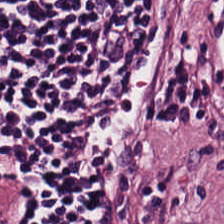H&E. Histology — lymphocytic infiltrate.
